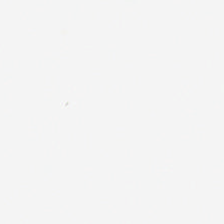WSI patch; hematoxylin and eosin; 224×224 px patch.
This patch shows no tissue.
